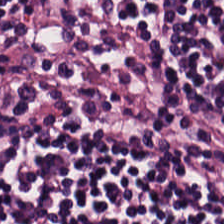FFPE tissue section. 224×224 px patch. H&E.
Tissue — lymphocyte aggregate.
